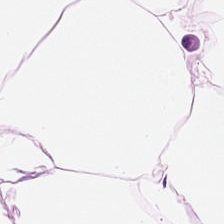Formalin-fixed paraffin-embedded section · hematoxylin-and-eosin stained section · 0.5 µm per pixel. Q: What is shown in this field?
A: This is adipose.
